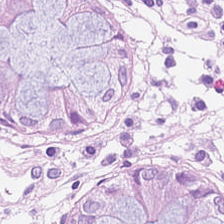Tissue type: normal colon mucosa.
